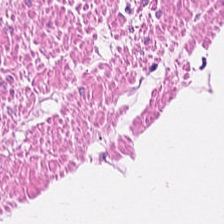H&E stain. Tissue = muscularis.
